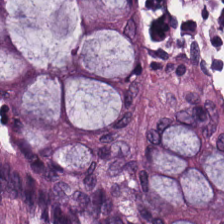Tissue = non-neoplastic colon mucosa.
